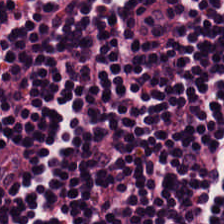Hematoxylin and eosin — The tissue here is lymphoid infiltrate.
